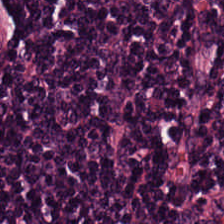20× equivalent magnification; FFPE tissue section; hematoxylin-and-eosin stained section — Tissue class — lymphoid infiltrate.
